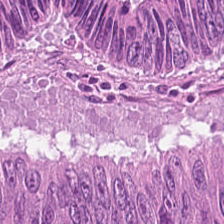H&E stain — Impression — malignant epithelium.
